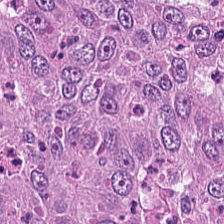Hematoxylin-and-eosin stained section — Tissue type — colorectal adenocarcinoma epithelium.
